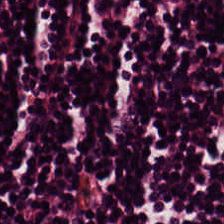Q: What is shown here?
A: The field shows lymphoid infiltrate.
